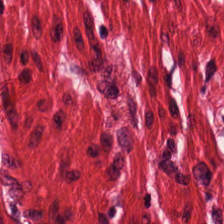Hematoxylin and eosin.
Histology → smooth muscle.
